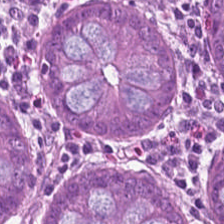H&E · formalin-fixed paraffin-embedded section.
Q: What is the predominant tissue type?
A: This is normal colonic mucosa.
